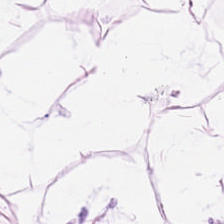Stain: H&E.
Tissue type: adipocytes.
